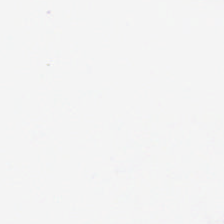Hematoxylin-and-eosin stained section.
{"content": "background (no tissue)"}
